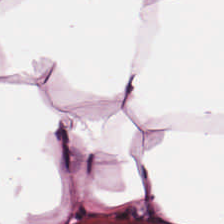H&E; 224×224 px patch; 20× equivalent magnification — Showing adipose tissue.
